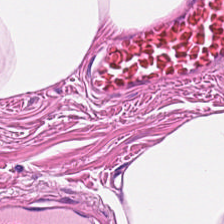Hematoxylin and eosin. Predominant tissue — smooth muscle.
